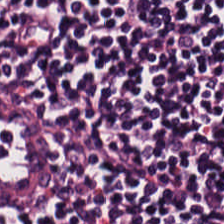H&E — Q: What does this patch show?
A: The field shows lymphocytes.
